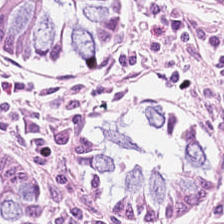H&E-stained tissue section. Showing normal colonic mucosa.
